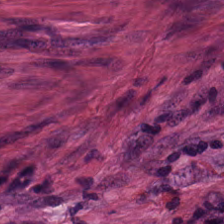H&E — {"tissue_type": "tumor-associated stroma"}
